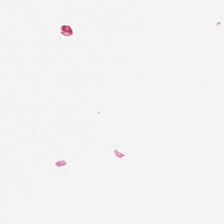0.5 µm/px; H&E stain; 224×224 px tile — Q: What is shown here?
A: This is empty background.
